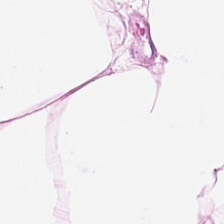Hematoxylin and eosin · 0.5 µm per pixel · 224×224 px patch. The tissue here is adipocytes.
